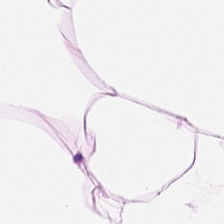0.5 microns per pixel; brightfield; hematoxylin and eosin.
Histology → adipose.
